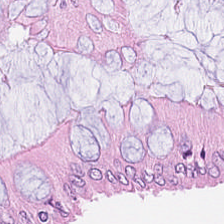H&E stain — Q: Identify the tissue.
A: The field shows normal colonic mucosa.
